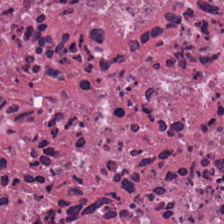H&E-stained tissue section — The predominant tissue is necrotic debris.
